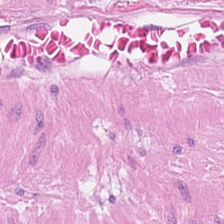H&E. FFPE. The predominant tissue is muscularis.
